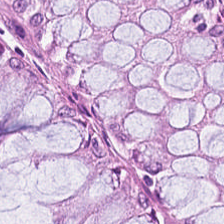224×224 px patch · hematoxylin-and-eosin stained section.
Predominant tissue — normal colonic mucosa.
